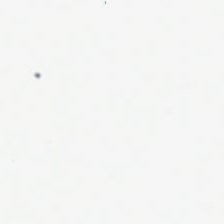20× equivalent magnification. Hematoxylin-and-eosin stained section. Formalin-fixed paraffin-embedded section.
Q: Classify this patch.
A: This is background.
